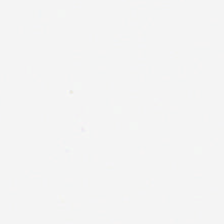Hematoxylin and eosin. Formalin-fixed paraffin-embedded section. {"content": "empty background"}
